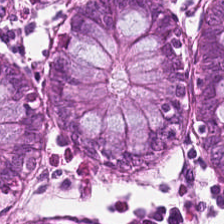0.5 µm per pixel; H&E-stained tissue section.
Tissue class = benign colonic mucosa.
